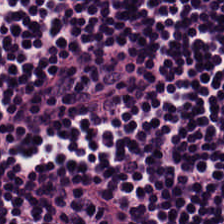This field is lymphocyte aggregate.
